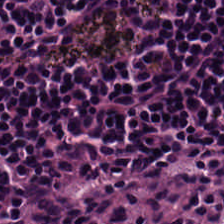Tissue class: lymphocyte aggregate.
